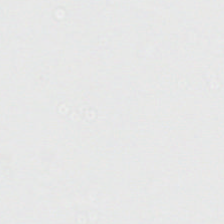224×224 pixel tile · H&E stain · brightfield microscopy. Impression — background (no tissue).
